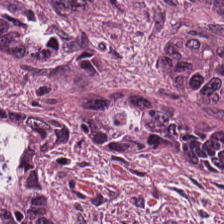H&E stain.
{"tissue_type": "malignant epithelium"}
